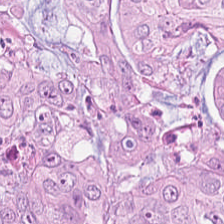H&E stain. The tissue here is colorectal adenocarcinoma.
